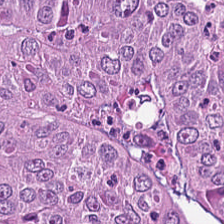H&E-stained tissue section. FFPE.
Classification = tumor epithelium.
